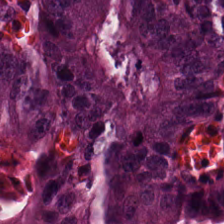0.5 µm per pixel; H&E; brightfield microscopy. Classification: malignant epithelium.
